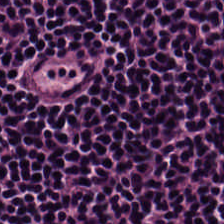H&E-stained tissue section.
Tissue class: lymphocytic infiltrate.
